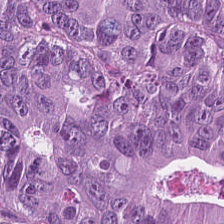0.5 µm per pixel. H&E stain.
Q: What tissue is shown?
A: It is colorectal adenocarcinoma epithelium.
